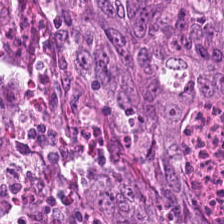Histology → tumor epithelium.
